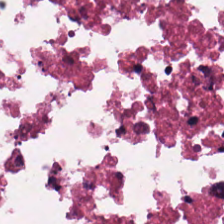Hematoxylin and eosin — Q: Identify the tissue.
A: It is necrotic debris.
